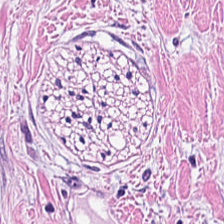Hematoxylin-and-eosin stained section; 20× equivalent magnification. Classification — tumor stroma.
